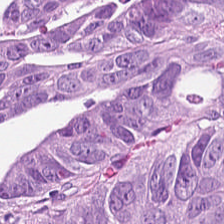Hematoxylin-and-eosin stained section — {"tissue_type": "tumor epithelium"}
